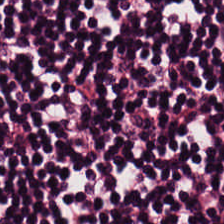Stain: H&E.
Predominant tissue: lymphocytic infiltrate.
